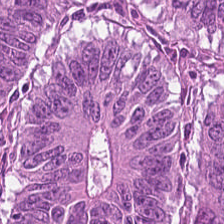Predominantly colorectal adenocarcinoma epithelium.
